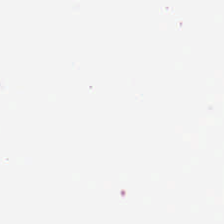Impression → background.
